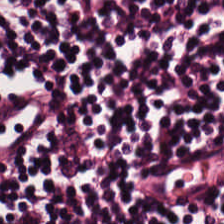This field is lymphocytic infiltrate.
